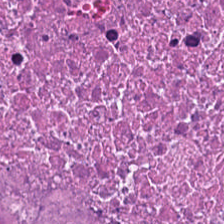Formalin-fixed paraffin-embedded section. WSI patch. H&E.
This patch shows debris.
